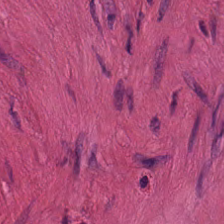Q: Identify the tissue.
A: This is smooth-muscle tissue.
